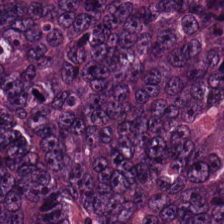H&E-stained tissue section — Q: What type of tissue is this?
A: Tumor epithelium.
